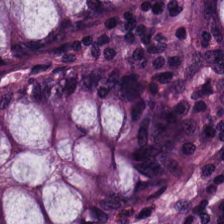Hematoxylin-and-eosin stained section. Tissue class — benign colonic mucosa.
